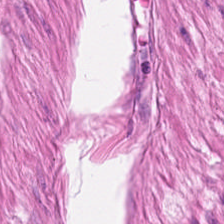H&E stain. Q: What tissue type is shown here?
A: Smooth muscle.
